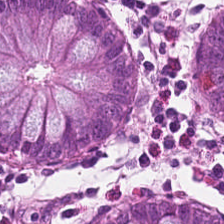Hematoxylin and eosin — The tissue here is normal colon mucosa.
